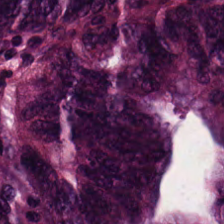Hematoxylin and eosin. {"tissue_type": "adenocarcinoma"}
